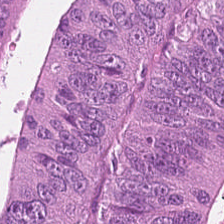H&E; 0.5 µm/px — Q: What is shown here?
A: It is adenocarcinoma.
